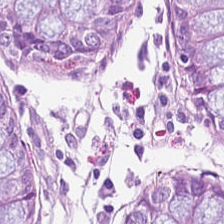Hematoxylin-and-eosin stained section. Predominant tissue = normal colon mucosa.
